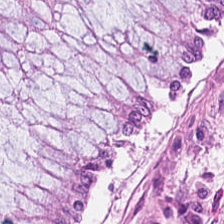0.5 µm per pixel · hematoxylin-and-eosin stained section.
This field is normal colonic mucosa.
